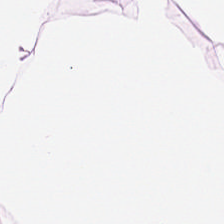Finding → adipose tissue.
